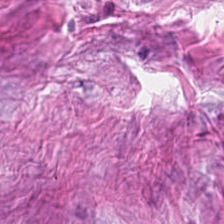H&E-stained tissue section.
Q: What tissue is shown?
A: This is desmoplastic stroma.
